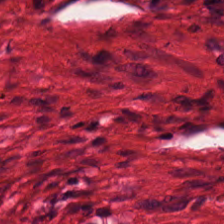0.5 µm/px; hematoxylin-and-eosin stained section — This field is smooth-muscle tissue.
